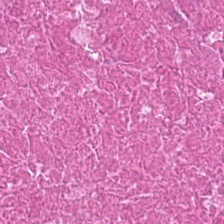224×224 pixel tile. Hematoxylin-and-eosin stained section.
Q: What tissue type is shown here?
A: The field shows necrotic debris.
